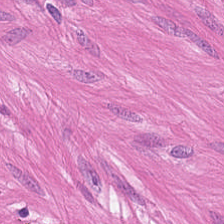Hematoxylin-and-eosin stained section. Brightfield microscopy.
The tissue here is muscularis.
